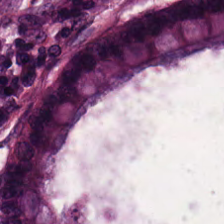Impression — normal colon mucosa.
